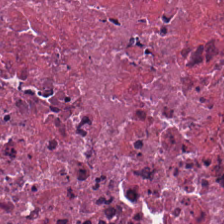Hematoxylin and eosin.
Tissue: cellular debris.
